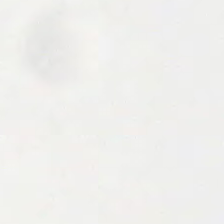H&E · WSI patch.
Empty field — background (no tissue).
